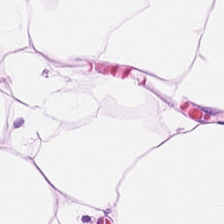H&E; brightfield.
Q: Identify the tissue.
A: This is adipose tissue.
